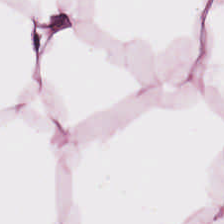H&E — Fat tissue.
